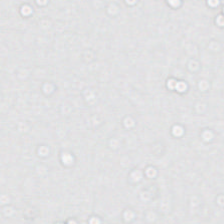Q: What is shown in this field?
A: Background (no tissue).
